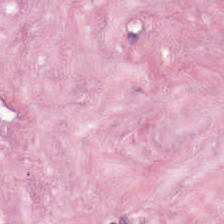H&E. Q: What is shown here?
A: It is desmoplastic stroma.
